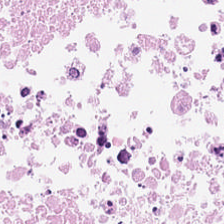Hematoxylin and eosin. Formalin-fixed paraffin-embedded section. 224×224 pixel tile.
Q: What is shown here?
A: It is cellular debris.
